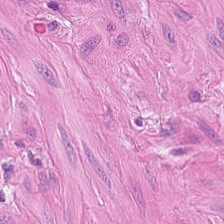224×224 pixel tile; H&E; brightfield. Tissue — smooth muscle.
